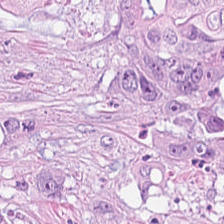H&E stain. FFPE tissue section. 224×224 pixel tile — This patch shows colorectal adenocarcinoma epithelium.
